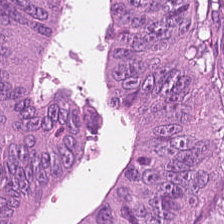H&E — Q: What is shown here?
A: Adenocarcinoma.
